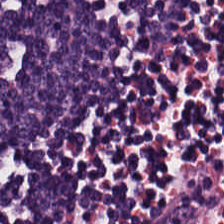H&E-stained tissue section. 224×224 px tile — The tissue here is lymphocytes.
